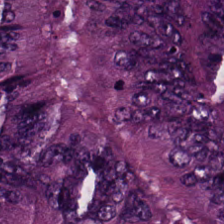The predominant tissue is adenocarcinoma.
